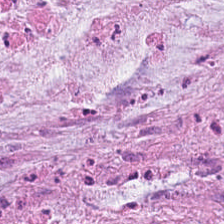H&E stain; formalin-fixed paraffin-embedded section. {"tissue_type": "extracellular mucin"}
